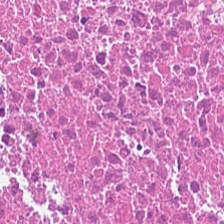H&E. Q: What type of tissue is this?
A: This is cellular debris.
